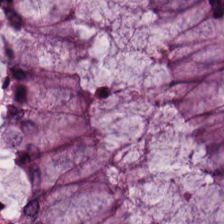H&E-stained tissue section; formalin-fixed paraffin-embedded section — Predominant tissue — normal colonic mucosa.
